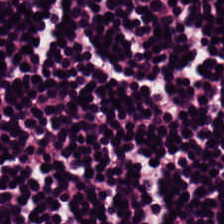H&E — Lymphocytic infiltrate.
